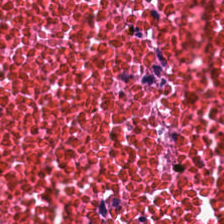Hematoxylin-and-eosin stained section · brightfield microscopy · 224×224 px patch.
Q: What is the predominant tissue type?
A: This is debris.
